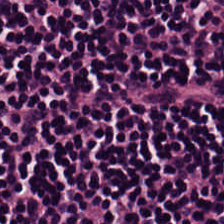H&E-stained tissue section.
The predominant tissue is lymphocytes.
